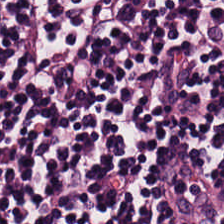H&E-stained section; the field shows lymphocytic infiltrate.
